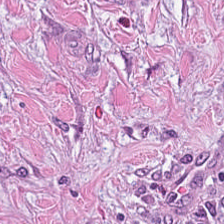Q: Classify this patch.
A: The field shows tumor-associated stroma.
